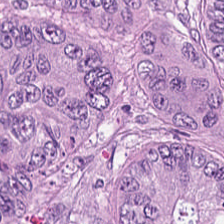H&E.
Q: Identify the tissue.
A: It is tumor epithelium.
